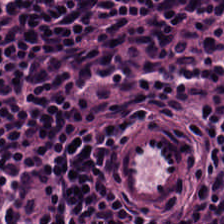The tissue here is lymphocytic infiltrate.
